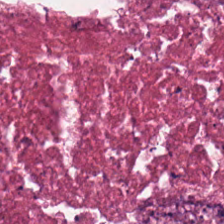Brightfield microscopy. Hematoxylin and eosin.
Q: What type of tissue is this?
A: It is cellular debris.
